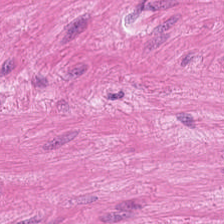Q: What tissue is shown?
A: It is smooth muscle.
